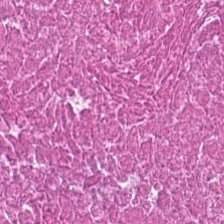Hematoxylin and eosin. Q: What tissue is shown?
A: This is necrotic debris.
